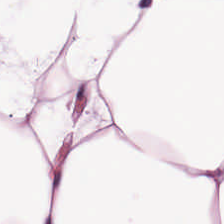This patch shows adipocytes.
